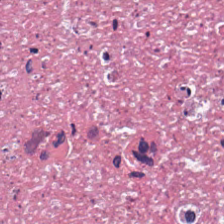H&E stain · 0.5 µm per pixel — Q: What is shown here?
A: Cellular debris.
